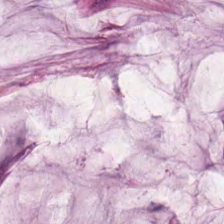H&E stain · 224×224 px patch · 0.5 µm/px.
The predominant tissue is extracellular mucin.
